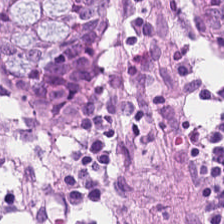Stain: H&E-stained tissue section.
Acquisition: WSI patch.
Classification: non-neoplastic colon mucosa.
